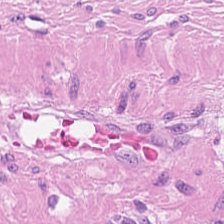H&E-stained tissue section · FFPE. Muscularis.
